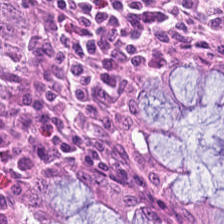Tissue class — normal colonic mucosa.
